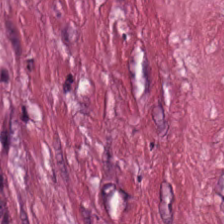H&E; 224×224 pixel tile. Q: What is shown in this field?
A: The field shows tumor-associated stroma.
